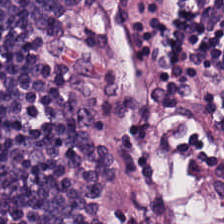Stain: H&E stain.
Preparation: FFPE.
Predominant tissue: lymphocyte aggregate.
